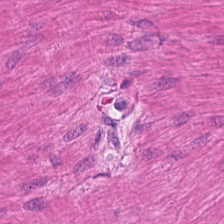H&E-stained tissue section. WSI patch — Smooth-muscle tissue.
